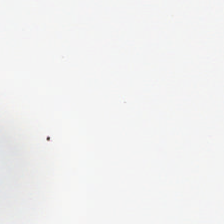H&E stain. Histology — empty background.
